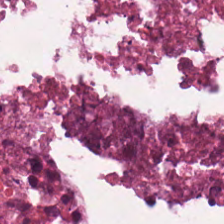The tissue here is necrotic debris.
